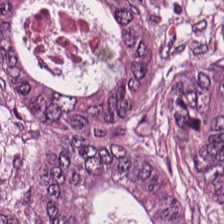The predominant tissue is adenocarcinoma.
